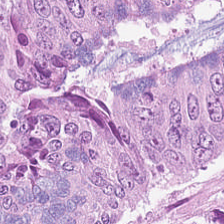Brightfield microscopy · FFPE tissue section · hematoxylin-and-eosin stained section. Q: What is shown in this field?
A: Colorectal adenocarcinoma.
